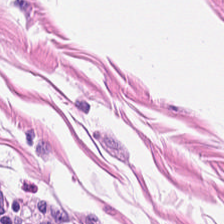Tissue type = smooth-muscle tissue.
